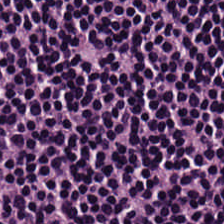Brightfield microscopy; H&E-stained tissue section; 20× equivalent magnification. Tissue class = lymphocytes.
